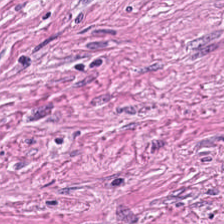H&E.
Classification — tumor-associated stroma.
